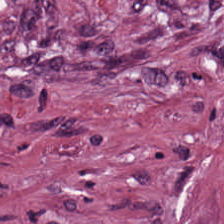Q: What is the predominant tissue type?
A: Cancer-associated stroma.
